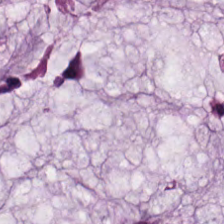Formalin-fixed paraffin-embedded section. H&E stain. WSI patch — This patch shows extracellular mucin.
